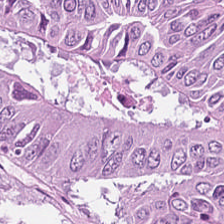Stain: hematoxylin and eosin.
Tissue type: colorectal adenocarcinoma epithelium.
